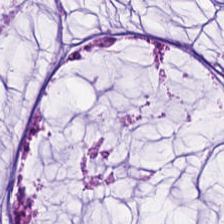Stain: hematoxylin and eosin.
Tissue: extracellular mucin.
